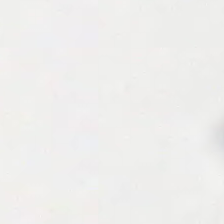Hematoxylin and eosin. Impression → background.
